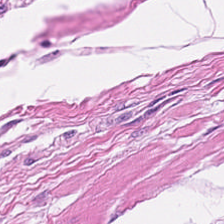The tissue class is muscularis.
